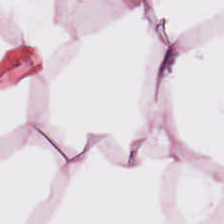H&E. Formalin-fixed paraffin-embedded section — Showing adipocytes.
